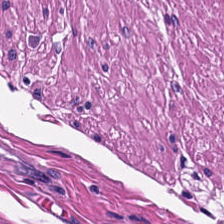Impression → smooth-muscle tissue.
